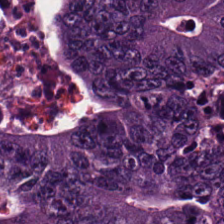224×224 px tile; 0.5 microns per pixel; hematoxylin and eosin.
Adenocarcinoma.
